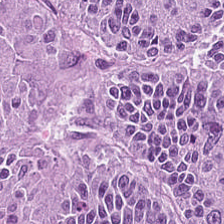H&E stain.
Showing colorectal adenocarcinoma epithelium.
